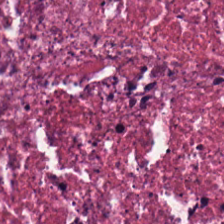The tissue type is necrotic debris.
